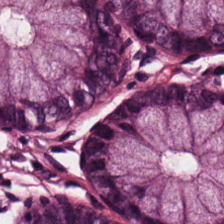224×224 pixel tile · H&E stain · WSI patch. Impression — normal colon mucosa.
